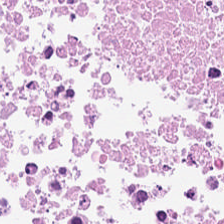Brightfield · H&E. This patch shows necrotic debris.
